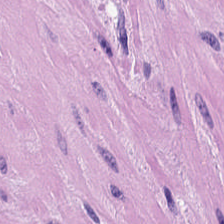H&E stain — Tissue class — smooth-muscle tissue.
